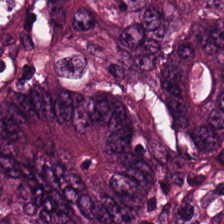Stain: H&E stain.
Tissue: colorectal adenocarcinoma epithelium.
